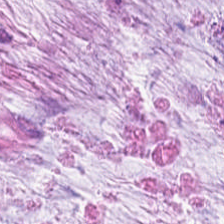Hematoxylin and eosin. 224×224 px patch — Predominantly mucus.
